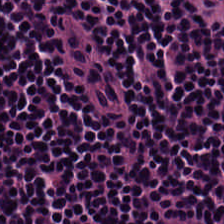Formalin-fixed paraffin-embedded section; hematoxylin and eosin; 224×224 px tile — Q: Identify the tissue.
A: The field shows lymphocytes.
